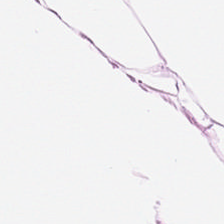WSI patch. H&E-stained tissue section. 224×224 px patch. This patch shows adipose tissue.
